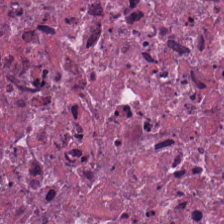FFPE tissue section. H&E-stained tissue section. Whole-slide-image patch. Finding → necrotic debris.
